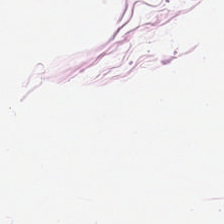Tissue type: adipocytes.
